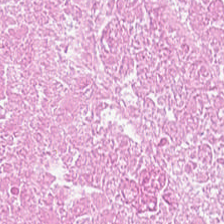H&E stain.
Tissue class = cellular debris.
